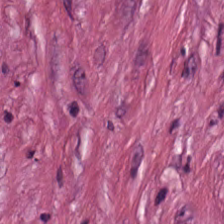The predominant tissue is tumor stroma.
